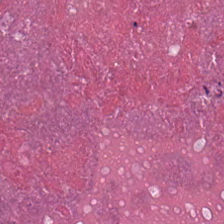H&E-stained tissue section. Finding → debris.
